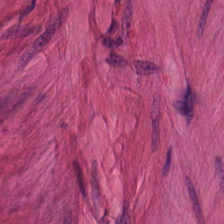H&E-stained tissue section; WSI patch — {"tissue_type": "smooth muscle"}
